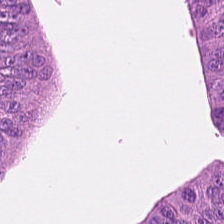H&E-stained tissue section. Q: Identify the tissue.
A: It is colorectal adenocarcinoma.
